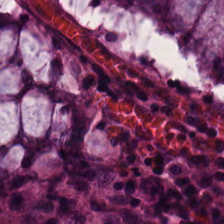H&E stain.
This field is normal colon mucosa.
